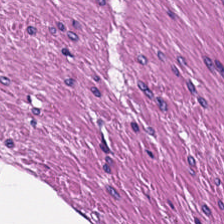Hematoxylin-and-eosin stained section; FFPE tissue section; brightfield.
Q: What tissue is shown?
A: This is smooth-muscle tissue.
